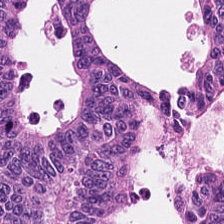H&E-stained tissue section showing malignant epithelium.
